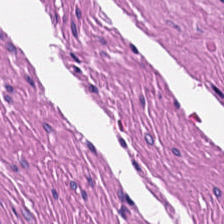H&E stain · FFPE · 0.5 microns per pixel. Tissue — smooth-muscle tissue.
